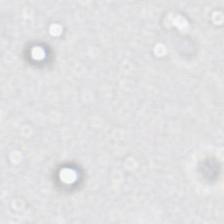H&E stain; 20× equivalent magnification.
The field content is no tissue.
